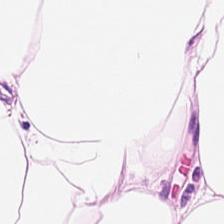H&E — fat tissue.
